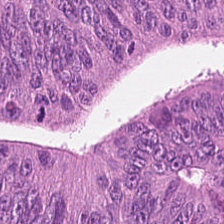Histology — adenocarcinoma.
